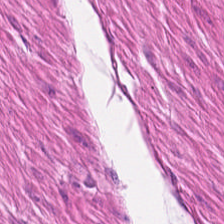H&E patch showing smooth-muscle tissue.
